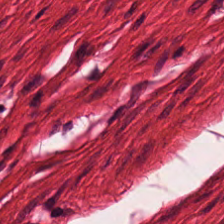Classification — muscularis.
